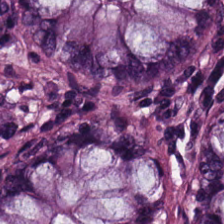H&E. The tissue here is non-neoplastic colon mucosa.
